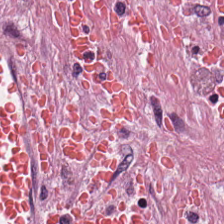Hematoxylin-and-eosin stained section — Tissue class — cancer-associated stroma.
